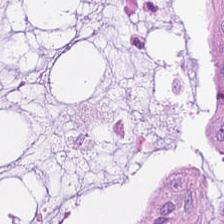H&E-stained tissue section. Tissue type — mucin.
